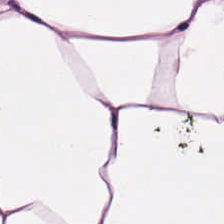H&E — {"tissue_type": "adipose tissue"}
